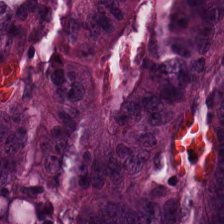H&E-stained tissue section showing malignant epithelium.
